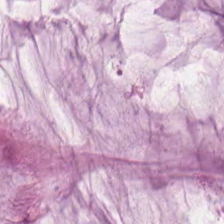H&E — mucus.
